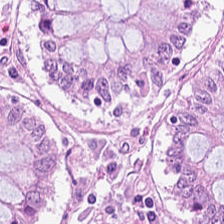Hematoxylin and eosin. Showing normal colon mucosa.
